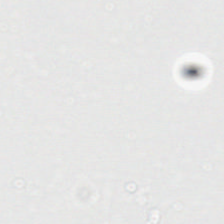H&E. Background — no tissue in this field.
